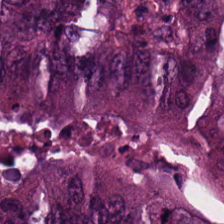Stain: hematoxylin and eosin.
Predominant tissue: adenocarcinoma.
